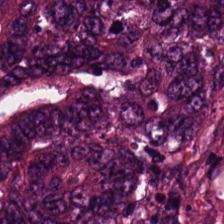Q: What is shown in this field?
A: The field shows adenocarcinoma.
